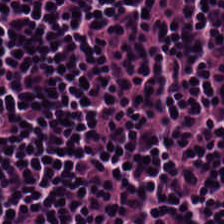H&E stain. WSI patch. Formalin-fixed paraffin-embedded section. Finding — lymphocyte aggregate.
